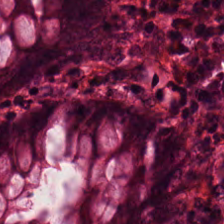This patch shows benign colonic mucosa.
